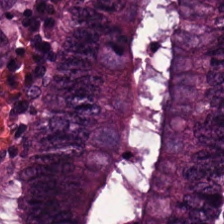{"tissue_type": "adenocarcinoma"}
